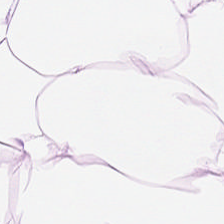Stain: hematoxylin-and-eosin stained section.
Tissue class: adipose.
